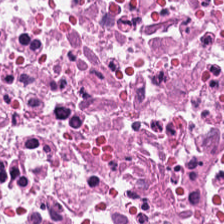Stain: hematoxylin-and-eosin stained section.
Tissue: debris.
